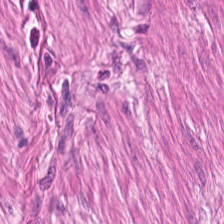Brightfield · hematoxylin and eosin · 0.5 microns per pixel — Tissue class = smooth muscle.
